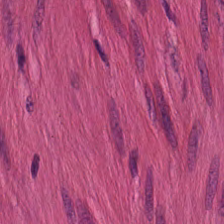Stain: H&E stain.
Acquisition: WSI patch.
Tile size: 224×224 px tile.
Tissue type: muscularis.
